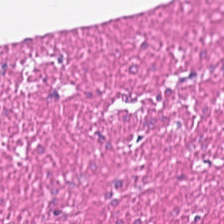Hematoxylin-and-eosin stained section. Tissue type: smooth muscle.
